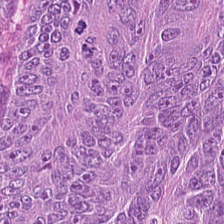H&E; 224×224 px tile. The predominant tissue is adenocarcinoma.
